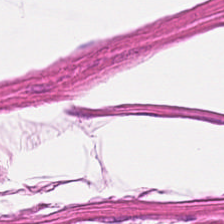H&E-stained tissue section.
The predominant tissue is smooth muscle.
